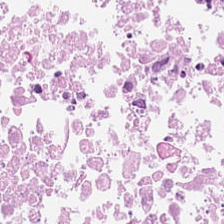Hematoxylin and eosin. Q: What is the predominant tissue type?
A: This is necrotic debris.
